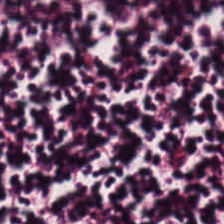Brightfield. H&E. FFPE tissue section — Showing lymphoid infiltrate.
